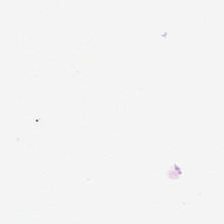Hematoxylin and eosin; whole-slide-image patch. No tissue present; background only.
